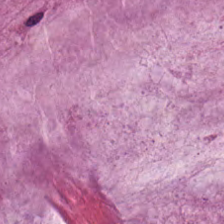Formalin-fixed paraffin-embedded section. Hematoxylin-and-eosin stained section — The tissue is mucin.
